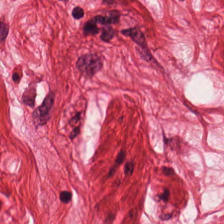Stain: hematoxylin-and-eosin stained section.
Tissue type: smooth muscle.
